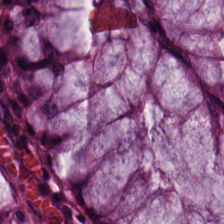Brightfield microscopy; 0.5 µm per pixel; hematoxylin-and-eosin stained section. Predominantly normal colon mucosa.
